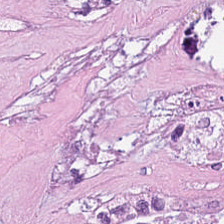H&E.
Debris.
